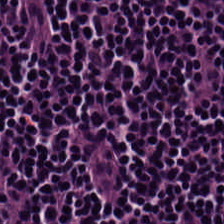H&E stain. Showing lymphocytic infiltrate.
